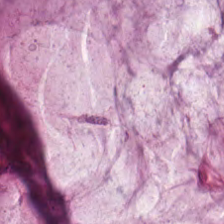Stain: hematoxylin-and-eosin stained section.
Acquisition: brightfield.
Tissue: mucus.
